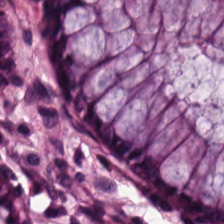Hematoxylin-and-eosin stained section. 224×224 pixel tile. 0.5 µm per pixel.
Showing non-neoplastic colon mucosa.
